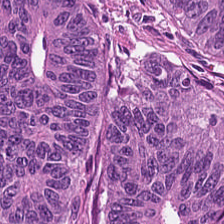H&E stain.
The classification is malignant epithelium.
